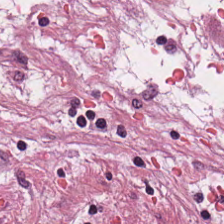Hematoxylin and eosin — Classification = desmoplastic stroma.
